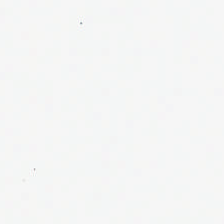H&E stain — Impression → empty background.
